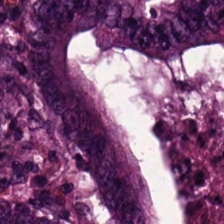Tissue: malignant epithelium.
